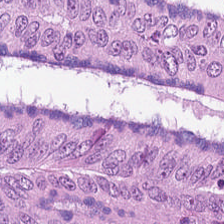Histology — tumor epithelium.
